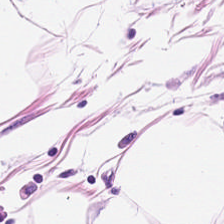{"tissue_type": "adipose"}
